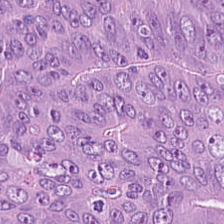Tissue = colorectal adenocarcinoma epithelium.
